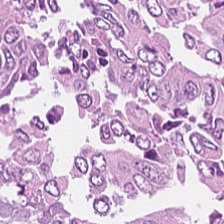0.5 µm per pixel. 224×224 px tile. Hematoxylin and eosin.
Histology → adenocarcinoma.
